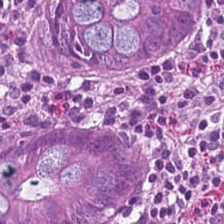H&E; FFPE tissue section — This patch shows non-neoplastic colon mucosa.
